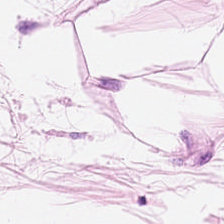H&E-stained tissue section — Q: What is shown in this field?
A: Adipose.
